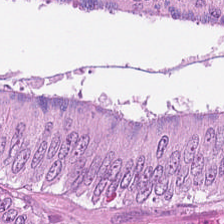Showing colorectal adenocarcinoma.
